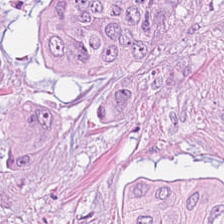Formalin-fixed paraffin-embedded section · hematoxylin and eosin · brightfield microscopy. The predominant tissue is colorectal adenocarcinoma epithelium.
